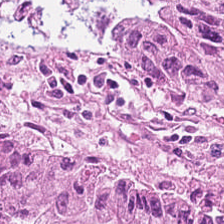Predominant tissue = colorectal adenocarcinoma.
